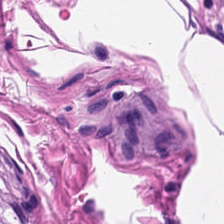Stain: H&E stain.
Resolution: 0.5 µm/px.
Tissue class: muscularis.
